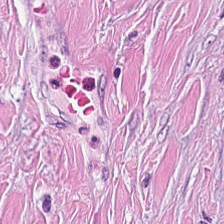H&E stain. This patch shows tumor stroma.
